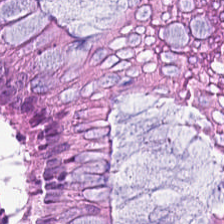FFPE. Hematoxylin-and-eosin stained section.
Benign colonic mucosa.
